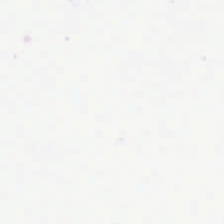Hematoxylin and eosin. This field is background (no tissue).
